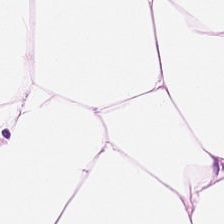H&E-stained tissue section — Adipose tissue.
